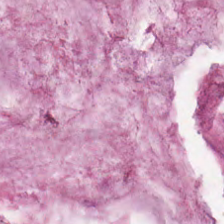H&E-stained tissue section. Q: What tissue type is shown here?
A: The field shows mucin.
